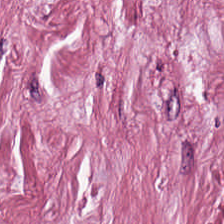The tissue class is tumor stroma.
